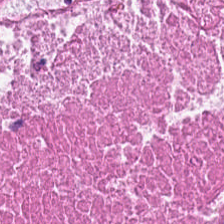Hematoxylin-and-eosin stained section — Predominantly cellular debris.
